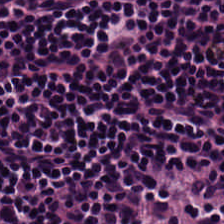Q: What is shown here?
A: This is lymphocytic infiltrate.
